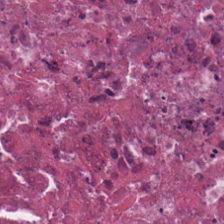Showing cellular debris.
